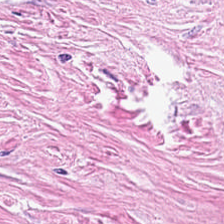Predominantly cancer-associated stroma.
